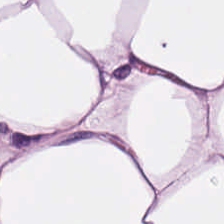Stain: H&E stain.
Predominant tissue: adipose tissue.
